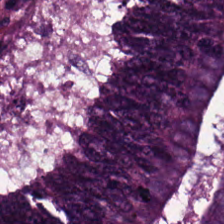Stain: H&E stain.
Acquisition: whole-slide-image patch.
Tissue class: colorectal adenocarcinoma.
